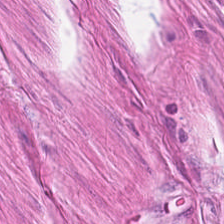224×224 px tile; hematoxylin-and-eosin stained section.
Tissue type: smooth muscle.
